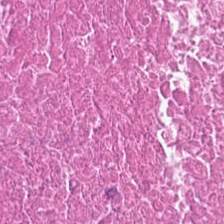H&E-stained tissue section; brightfield microscopy. Classification — cellular debris.
